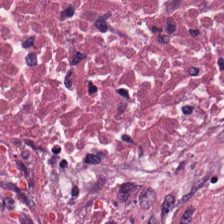H&E-stained tissue section.
Q: What tissue type is shown here?
A: This is cellular debris.
